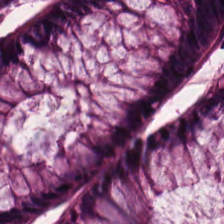Hematoxylin and eosin — Predominantly non-neoplastic colon mucosa.
